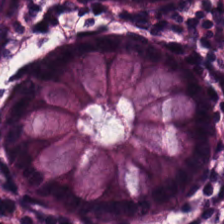H&E · 224×224 pixel tile — Benign colonic mucosa.
